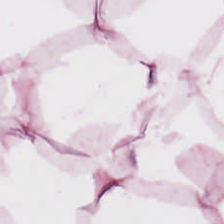H&E stain.
Fat tissue.
